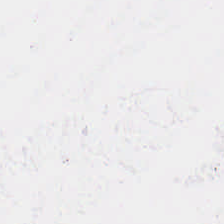Hematoxylin-and-eosin stained section; FFPE — Q: What is shown here?
A: The field shows background (no tissue).
